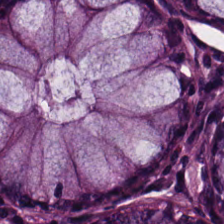Formalin-fixed paraffin-embedded section. Hematoxylin-and-eosin stained section. The predominant tissue is normal colonic mucosa.
